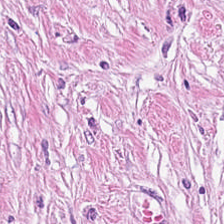Hematoxylin and eosin.
Predominant tissue = tumor-associated stroma.
